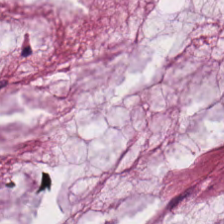Extracellular mucin.
